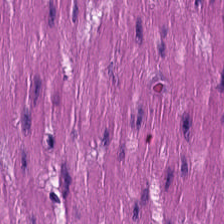Hematoxylin and eosin · 0.5 microns per pixel · 224×224 px patch — Tissue type — muscularis.
